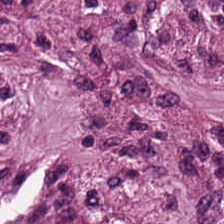Q: Classify this patch.
A: It is tumor stroma.
